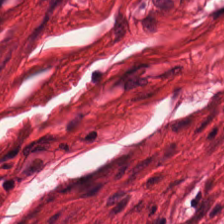Hematoxylin-and-eosin stained section — {"tissue_type": "smooth muscle"}
